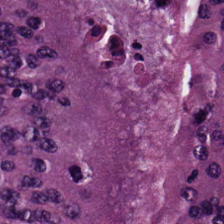H&E-stained tissue section. Predominant tissue = colorectal adenocarcinoma.
